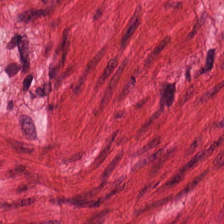FFPE tissue section. Hematoxylin-and-eosin stained section.
Q: What does this patch show?
A: The field shows smooth-muscle tissue.
